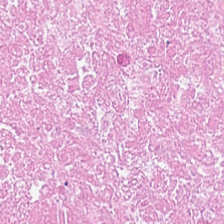Brightfield. Hematoxylin and eosin. Impression → debris.
